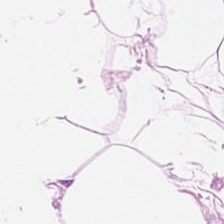Hematoxylin and eosin. Predominant tissue: adipose.
